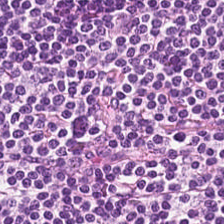H&E-stained tissue section. Tissue class — lymphocyte aggregate.
